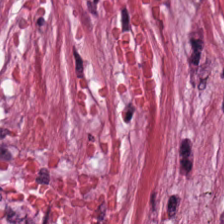Tissue type = desmoplastic stroma.
